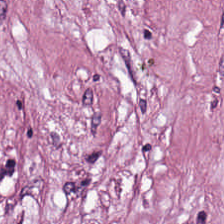H&E — tumor stroma.
